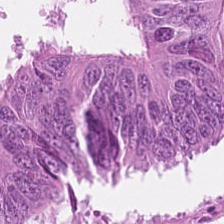H&E; 0.5 µm/px; formalin-fixed paraffin-embedded section. {"tissue_type": "adenocarcinoma"}
